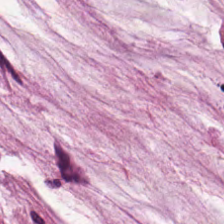H&E-stained tissue section — Histology → extracellular mucin.
